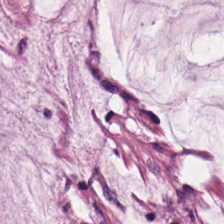H&E-stained tissue section. FFPE tissue section. 224×224 px tile. Showing extracellular mucin.
